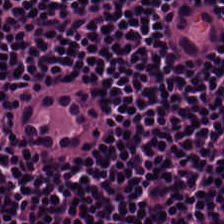Hematoxylin-and-eosin stained section. Classification = lymphocytes.
